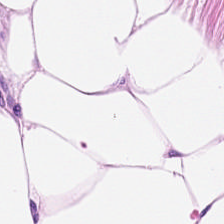H&E-stained tissue section. This field is fat tissue.
